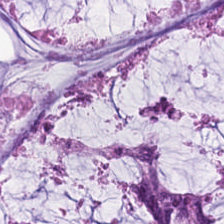H&E stain · FFPE · 20× equivalent magnification — The classification is extracellular mucin.
